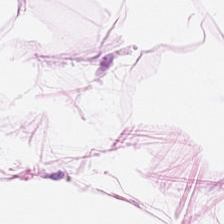Tissue type — adipose.
